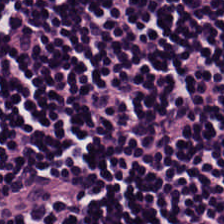224×224 px patch · H&E stain — This patch shows lymphocyte aggregate.
